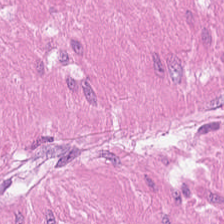H&E-stained tissue section. 224×224 pixel tile. 0.5 microns per pixel. Muscularis.
